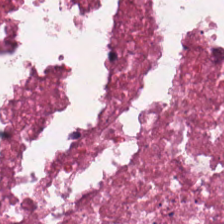Hematoxylin and eosin · 0.5 microns per pixel · 224×224 pixel tile. This patch shows cellular debris.
